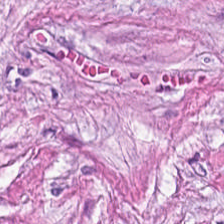Hematoxylin and eosin; 0.5 microns per pixel; FFPE tissue section. Impression → desmoplastic stroma.
